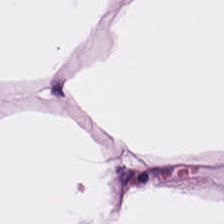Tissue — adipose.
